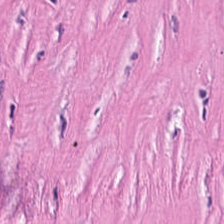Hematoxylin and eosin · whole-slide-image patch · formalin-fixed paraffin-embedded section. Tissue type = cancer-associated stroma.
